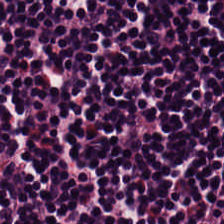The tissue is lymphocytic infiltrate.
